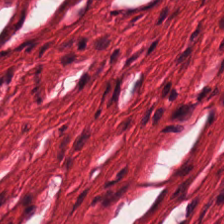Hematoxylin and eosin · FFPE tissue section. Smooth muscle.
